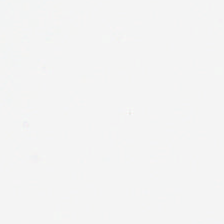WSI patch. H&E-stained tissue section. FFPE. This patch shows no tissue.
